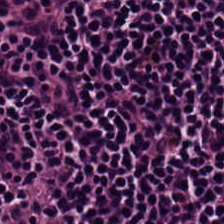H&E-stained tissue section — The tissue here is lymphocytes.
